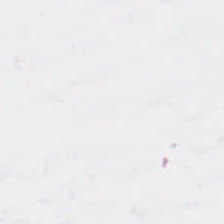Content — no tissue.
